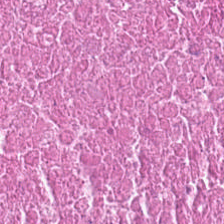Showing necrotic debris.
